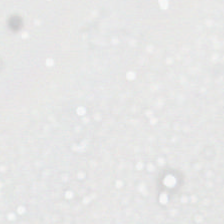FFPE; hematoxylin and eosin; 224×224 px patch. The field content is empty background.
